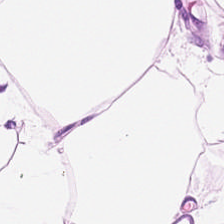0.5 microns per pixel · brightfield · hematoxylin-and-eosin stained section — Q: What is shown in this field?
A: The field shows adipose tissue.
